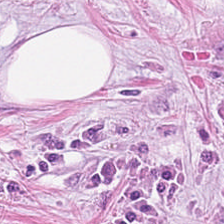H&E-stained tissue section — Classification = cancer-associated stroma.
